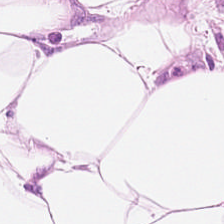224×224 pixel tile. FFPE tissue section. H&E — Histology → adipose.
